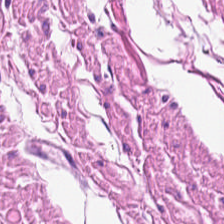H&E stain — Impression — smooth-muscle tissue.
